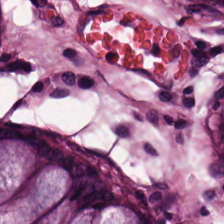Hematoxylin-and-eosin stained section; 224×224 pixel tile. Q: What does this patch show?
A: This is normal colonic mucosa.
